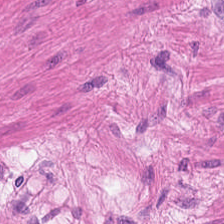H&E.
Tissue class — smooth muscle.
